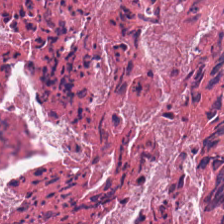H&E stain — Q: What is shown here?
A: The field shows necrotic debris.
